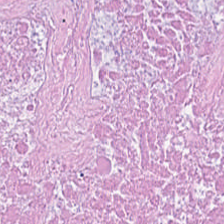H&E — Histology — cellular debris.
